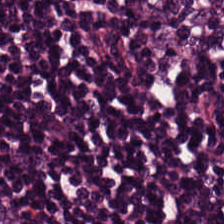Formalin-fixed paraffin-embedded section · whole-slide-image patch · H&E stain — The predominant tissue is lymphocyte aggregate.
